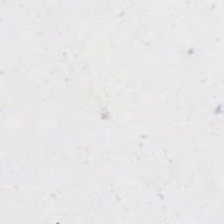FFPE tissue section · H&E-stained tissue section. No tissue.
